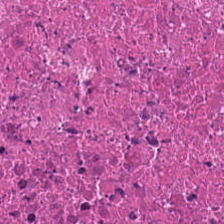Brightfield. H&E stain. 0.5 µm per pixel — Impression — necrotic debris.
